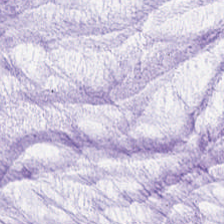224×224 pixel tile; 0.5 µm per pixel; hematoxylin and eosin. Q: What type of tissue is this?
A: Extracellular mucin.
